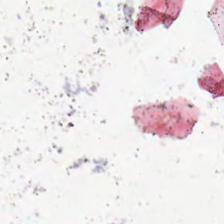20× equivalent magnification. Hematoxylin and eosin.
Classification — background.
